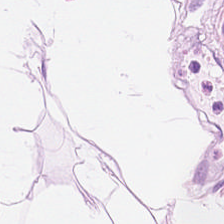Q: Classify this patch.
A: It is adipose tissue.
